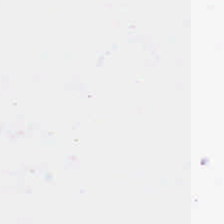H&E.
Classification = background.
